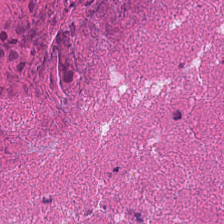Stain: hematoxylin-and-eosin stained section.
Tile size: 224×224 pixel tile.
Tissue: cellular debris.
